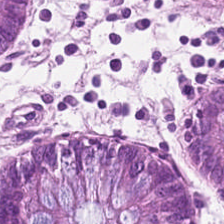Hematoxylin and eosin; whole-slide-image patch. Showing normal colon mucosa.
